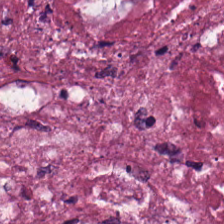H&E-stained tissue section; 0.5 µm/px — The predominant tissue is cellular debris.
